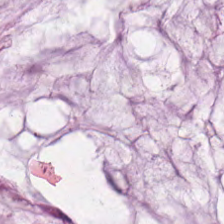H&E — Finding — mucus.
